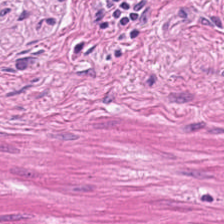H&E-stained tissue section — Histology → smooth muscle.
